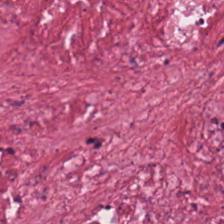Brightfield · H&E · FFPE tissue section.
This field is desmoplastic stroma.
